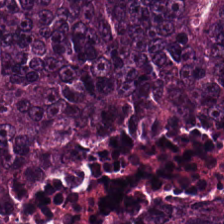0.5 µm per pixel. H&E-stained tissue section. Brightfield microscopy.
The tissue is tumor epithelium.
